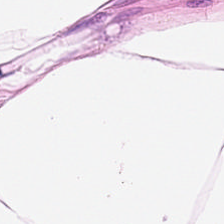The tissue here is adipose.
